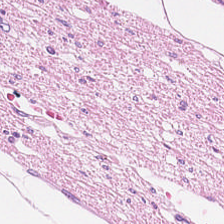Formalin-fixed paraffin-embedded section · H&E.
Finding — smooth-muscle tissue.
